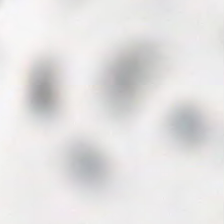Hematoxylin and eosin. Q: What is shown here?
A: It is background (no tissue).
